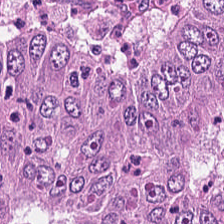H&E-stained section; the field shows tumor epithelium.
